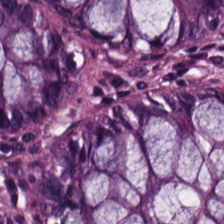Classification — normal colonic mucosa.
